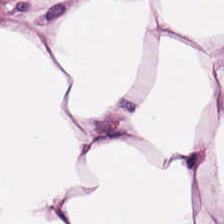{"tissue_type": "adipocytes"}
